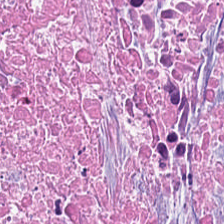H&E; FFPE tissue section. Impression → necrotic debris.
